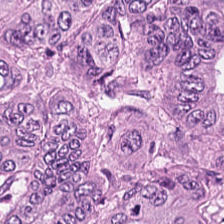Stain: H&E-stained tissue section.
Predominant tissue: colorectal adenocarcinoma epithelium.
